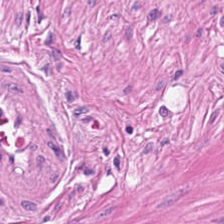H&E stain.
Predominantly smooth-muscle tissue.
